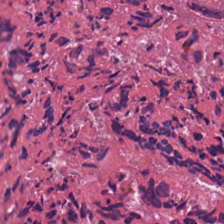Stain: H&E stain.
Preparation: FFPE.
Tissue type: debris.
